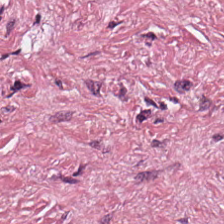Hematoxylin-and-eosin stained section. 0.5 µm per pixel. 224×224 px tile. Impression → tumor-associated stroma.
